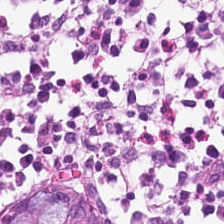FFPE tissue section; H&E; 20× equivalent magnification.
Tissue class — non-neoplastic colon mucosa.
